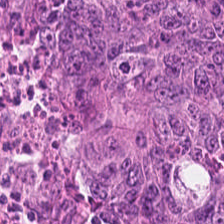H&E stain; FFPE. The tissue here is colorectal adenocarcinoma epithelium.
